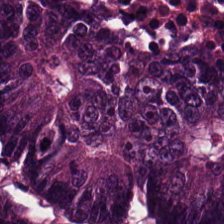The predominant tissue is adenocarcinoma.
